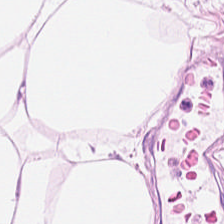This patch shows fat tissue.
